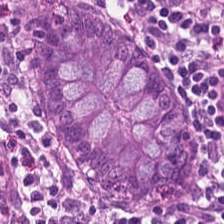224×224 px tile · FFPE · hematoxylin and eosin. This patch shows normal colon mucosa.
